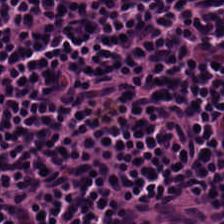Hematoxylin and eosin — Finding → lymphocytes.
